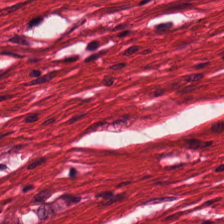Hematoxylin-and-eosin stained section — Smooth muscle.
